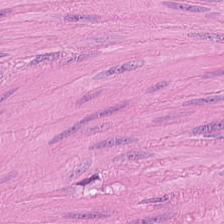Hematoxylin-and-eosin stained section.
Predominant tissue: smooth-muscle tissue.
